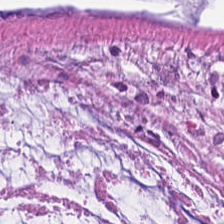Hematoxylin-and-eosin stained section. Tissue type — extracellular mucin.
